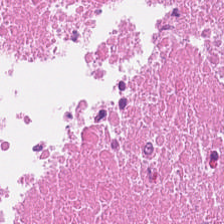Q: What tissue is shown?
A: The field shows debris.
